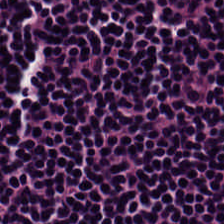The tissue here is lymphocyte aggregate.
